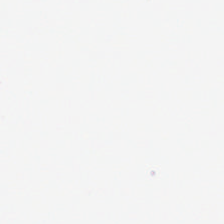Hematoxylin and eosin · whole-slide-image patch · FFPE tissue section — {"content": "no tissue"}
